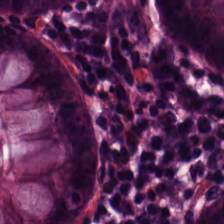Brightfield microscopy. 0.5 µm/px. H&E-stained tissue section.
The classification is normal colonic mucosa.
